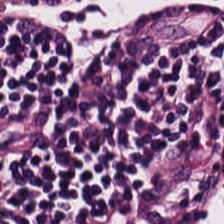Stain: hematoxylin-and-eosin stained section.
Classification: lymphocytes.
